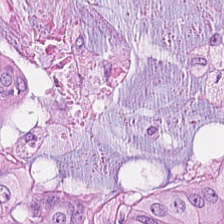Brightfield · H&E stain — Histology → tumor epithelium.
